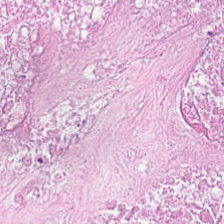WSI patch · hematoxylin-and-eosin stained section · FFPE tissue section. {"tissue_type": "debris"}
